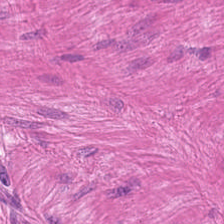Q: What type of tissue is this?
A: The field shows smooth muscle.
